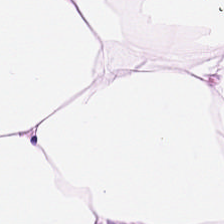Hematoxylin and eosin; 0.5 µm/px; formalin-fixed paraffin-embedded section.
Classification: fat tissue.
